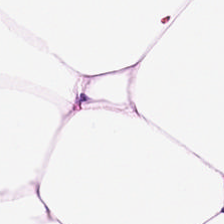WSI patch · 224×224 px patch · hematoxylin and eosin — Tissue type — adipose.
